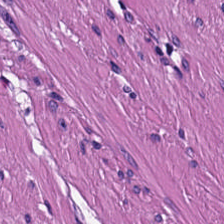H&E stain — Impression — muscularis.
